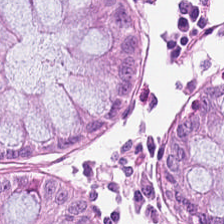H&E — non-neoplastic colon mucosa.
